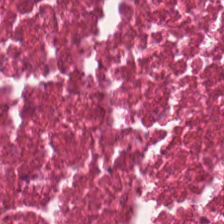H&E stain.
Finding → debris.
